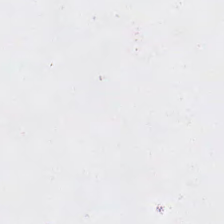H&E stain. 20× equivalent magnification. Formalin-fixed paraffin-embedded section.
Q: Classify this patch.
A: This is no tissue.
